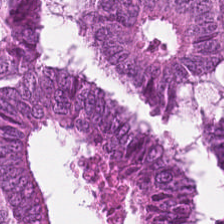H&E-stained tissue section. Brightfield microscopy. 0.5 µm/px. The tissue here is tumor epithelium.
